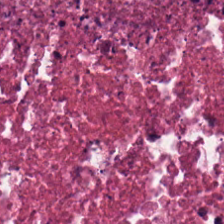H&E-stained tissue section · 0.5 µm/px. Debris.
